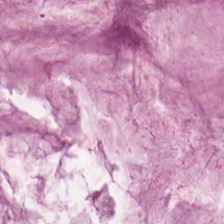H&E stain — {"tissue_type": "mucin"}
